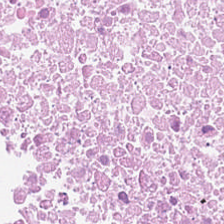H&E stain — The tissue class is cellular debris.
